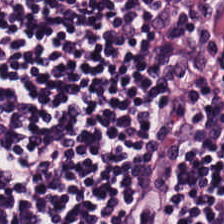This patch shows lymphocytic infiltrate.
